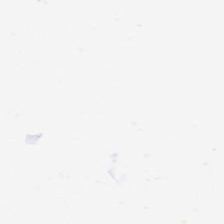Stain: H&E-stained tissue section.
Classification: background.
